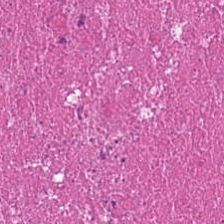H&E stain — Tissue = necrotic debris.
